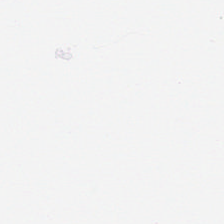Histology — empty background.
